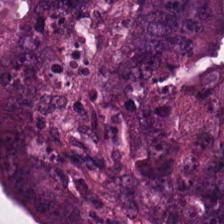Histology — malignant epithelium.
